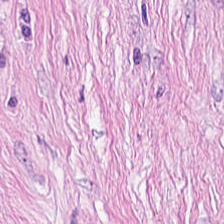H&E stain — Q: Identify the tissue.
A: Tumor-associated stroma.
